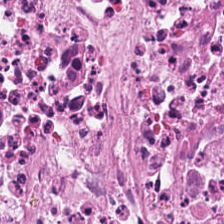H&E-stained tissue section · FFPE tissue section.
Tissue class = cellular debris.
